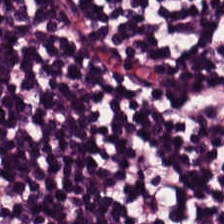FFPE. Hematoxylin and eosin. The tissue class is lymphoid infiltrate.
